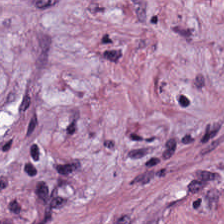Hematoxylin and eosin. Showing desmoplastic stroma.
